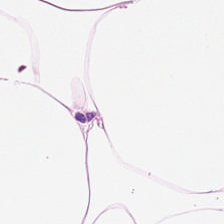H&E stain. 224×224 pixel tile.
Q: What is shown here?
A: The field shows adipose.
